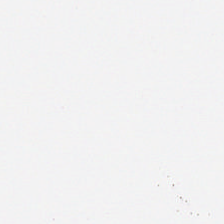Hematoxylin-and-eosin stained section — Classification: empty background.
